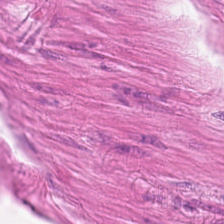Muscularis.
